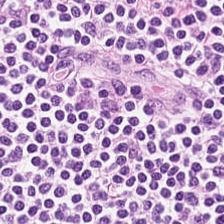H&E-stained tissue section.
Showing lymphocyte aggregate.
